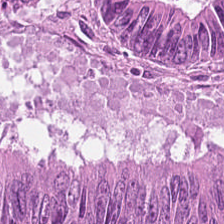H&E-stained tissue section — Colorectal adenocarcinoma.
